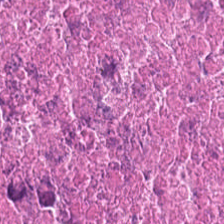Q: What type of tissue is this?
A: This is cellular debris.
